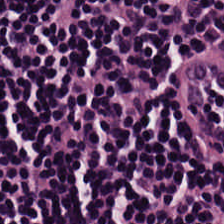Lymphocytic infiltrate.
